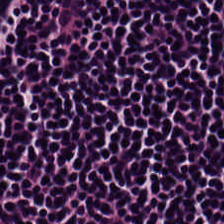Hematoxylin-and-eosin stained section. Impression — lymphoid infiltrate.
